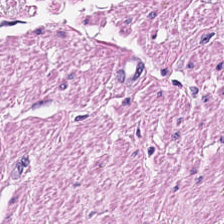Formalin-fixed paraffin-embedded section. Hematoxylin-and-eosin stained section. Brightfield. This field is smooth muscle.
